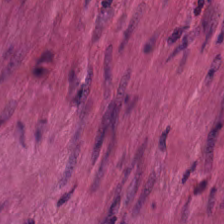H&E. This field is smooth muscle.
